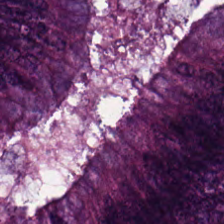Hematoxylin-and-eosin stained section — Impression → tumor epithelium.
